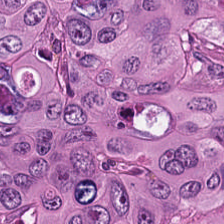Stain: H&E.
Tile size: 224×224 pixel tile.
Tissue class: colorectal adenocarcinoma epithelium.
